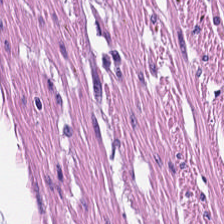H&E stain · whole-slide-image patch · 0.5 µm per pixel. The predominant tissue is smooth muscle.
